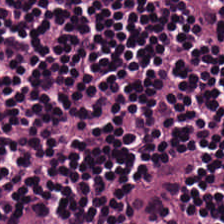The tissue type is lymphoid infiltrate.
